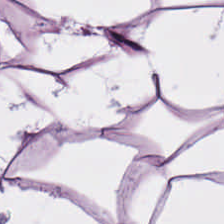H&E stain. FFPE tissue section.
The predominant tissue is adipocytes.
